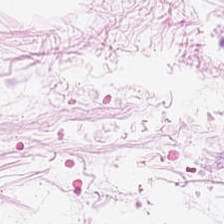H&E.
The predominant tissue is adipose.
